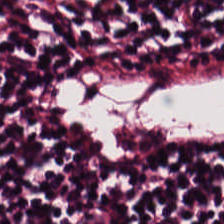H&E stain. The classification is lymphoid infiltrate.
